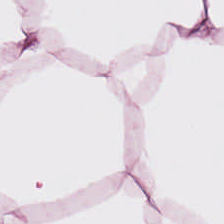224×224 px patch. FFPE. H&E-stained tissue section. Tissue = adipose.
